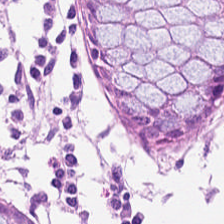224×224 px tile; H&E stain — Tissue class = normal colon mucosa.
